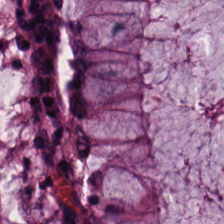20× equivalent magnification · hematoxylin-and-eosin stained section. Benign colonic mucosa.
